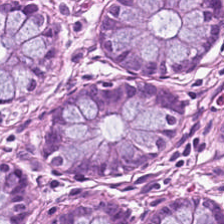0.5 µm/px. WSI patch. H&E stain — Tissue class — normal colon mucosa.
